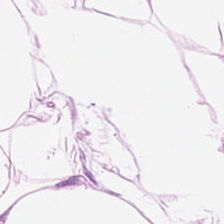H&E-stained tissue section; FFPE; WSI patch.
The classification is adipose tissue.
